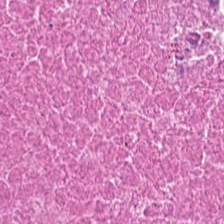Formalin-fixed paraffin-embedded section. H&E stain. Q: What is shown in this field?
A: Necrotic debris.
